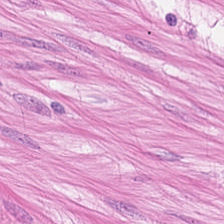H&E stain.
Q: What type of tissue is this?
A: The field shows muscularis.
